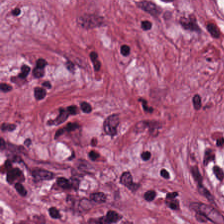0.5 µm per pixel. Hematoxylin and eosin — The predominant tissue is tumor-associated stroma.
